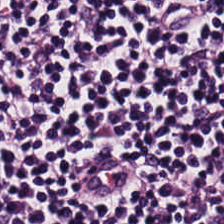Tissue class = lymphocyte aggregate.
